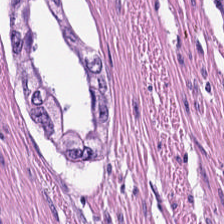H&E stain; brightfield microscopy — Q: What type of tissue is this?
A: Smooth-muscle tissue.
